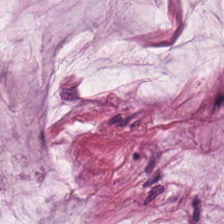Hematoxylin and eosin. FFPE tissue section — Impression — mucus.
